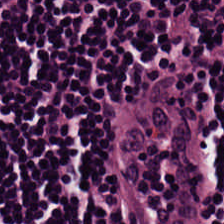H&E — The tissue type is lymphocytic infiltrate.
